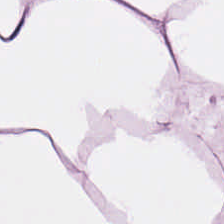H&E — Impression — adipose.
